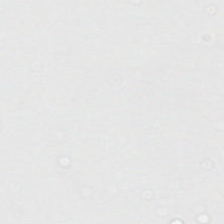Whole-slide-image patch. H&E. No tissue.
